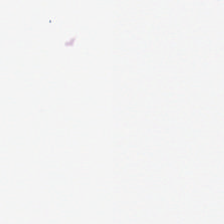20× equivalent magnification; FFPE; hematoxylin-and-eosin stained section — Background — no tissue in this field.
